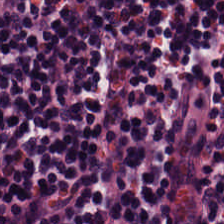Hematoxylin-and-eosin stained section.
This field is lymphoid infiltrate.
